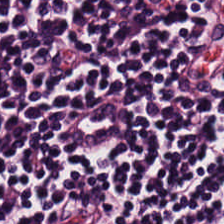Tissue class: lymphocyte aggregate.
